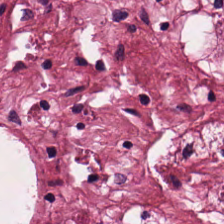FFPE tissue section · H&E-stained tissue section. Q: What tissue type is shown here?
A: The field shows desmoplastic stroma.
